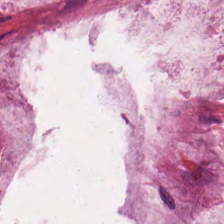Hematoxylin-and-eosin stained section; 224×224 px tile; 0.5 microns per pixel. Showing extracellular mucin.
